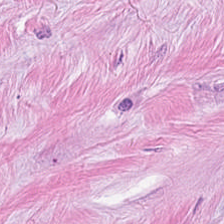224×224 px patch; 20× equivalent magnification; H&E-stained tissue section.
Finding → cancer-associated stroma.
